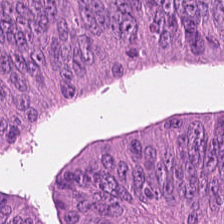H&E stain. {"tissue_type": "tumor epithelium"}
